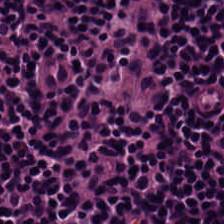H&E stain — The tissue type is lymphocytes.
